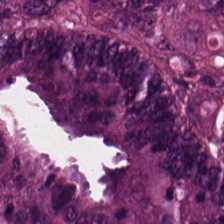H&E-stained tissue section. {"tissue_type": "colorectal adenocarcinoma epithelium"}
